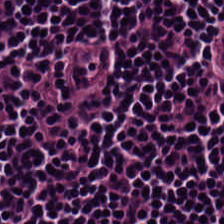Showing lymphocytes.
